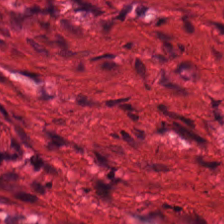Stain: H&E stain.
Resolution: 0.5 microns per pixel.
Classification: smooth-muscle tissue.
